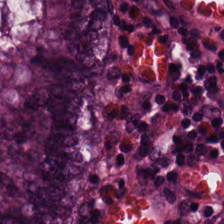Stain: hematoxylin-and-eosin stained section.
Predominant tissue: normal colonic mucosa.
